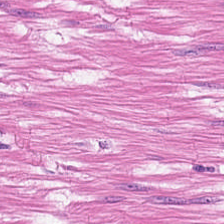Whole-slide-image patch · 0.5 µm per pixel · H&E stain.
This patch shows smooth-muscle tissue.
